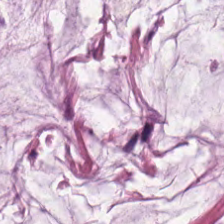Classification: extracellular mucin.
